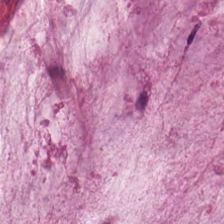Whole-slide-image patch · hematoxylin and eosin · 20× equivalent magnification.
The tissue here is extracellular mucin.
